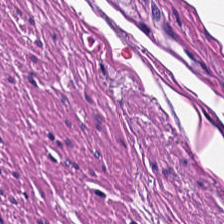Hematoxylin and eosin · 224×224 px tile — The tissue type is muscularis.
